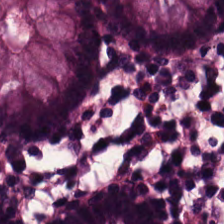H&E-stained tissue section; formalin-fixed paraffin-embedded section. The predominant tissue is benign colonic mucosa.
